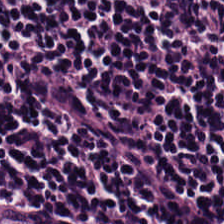H&E stain. Classification — lymphocytes.
